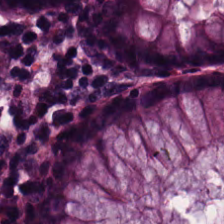Whole-slide-image patch · hematoxylin-and-eosin stained section. Q: What tissue is shown?
A: The field shows normal colon mucosa.
